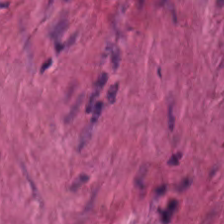H&E stain · 224×224 px tile · 20× equivalent magnification — This patch shows muscularis.
